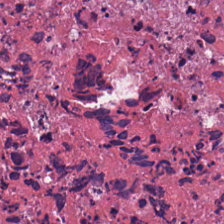H&E patch showing necrotic debris.
